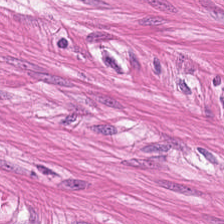H&E stain · 224×224 px tile. Muscularis.
